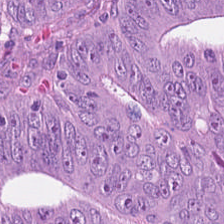Formalin-fixed paraffin-embedded section. Whole-slide-image patch. H&E.
The predominant tissue is adenocarcinoma.
